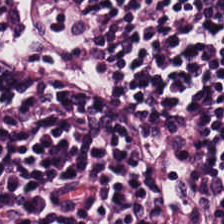Stain: H&E-stained tissue section.
Tissue type: lymphocytes.
